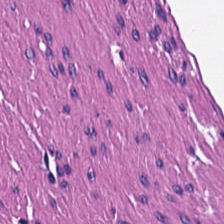H&E · formalin-fixed paraffin-embedded section — Predominantly smooth-muscle tissue.
